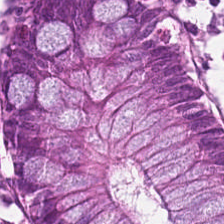Stain: hematoxylin-and-eosin stained section.
Tissue: normal colon mucosa.
